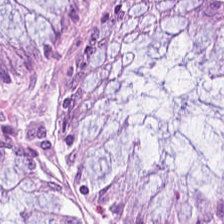Hematoxylin and eosin. Impression → normal colon mucosa.
